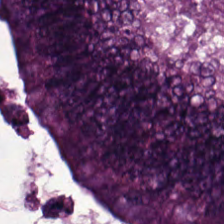H&E — colorectal adenocarcinoma epithelium.
